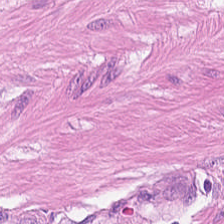Whole-slide-image patch · 0.5 microns per pixel · H&E. The predominant tissue is smooth muscle.
